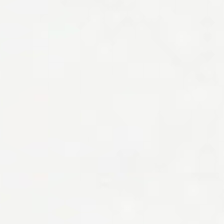Hematoxylin and eosin.
Field content = no tissue.
